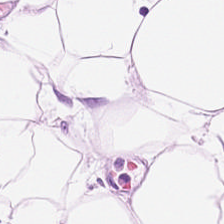FFPE; H&E-stained tissue section.
Adipose tissue.
